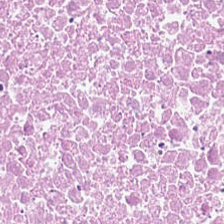0.5 microns per pixel. FFPE. H&E stain.
Classification — cellular debris.
